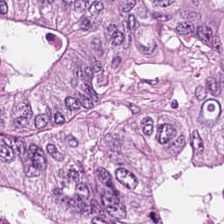Hematoxylin-and-eosin stained section · 0.5 µm/px · 224×224 px patch — Q: Identify the tissue.
A: It is tumor epithelium.
